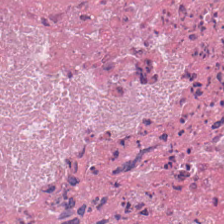H&E.
Finding → debris.
